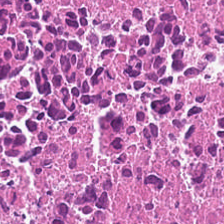Whole-slide-image patch. H&E stain.
Showing necrotic debris.
